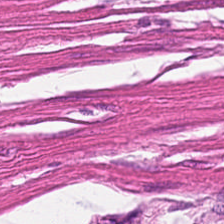H&E-stained tissue section. Tissue type = smooth muscle.
